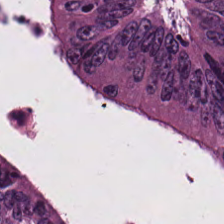H&E-stained tissue section — Q: What is shown here?
A: It is colorectal adenocarcinoma epithelium.
